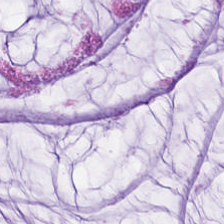Tissue class: mucin.
